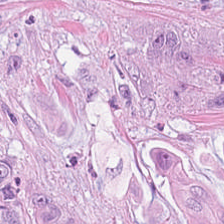Q: What tissue type is shown here?
A: The field shows malignant epithelium.
